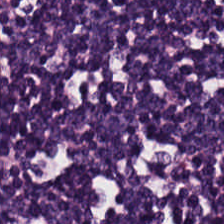Q: What tissue is shown?
A: The field shows lymphocytic infiltrate.
